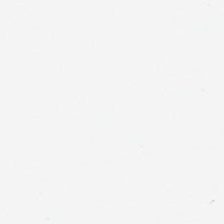Hematoxylin-and-eosin stained section. Histology → background.
